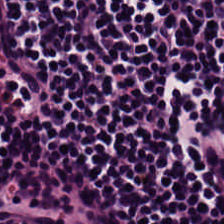H&E.
Classification: lymphocytes.
